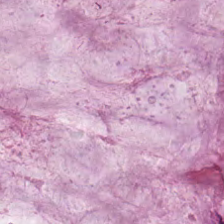Q: What type of tissue is this?
A: Extracellular mucin.
